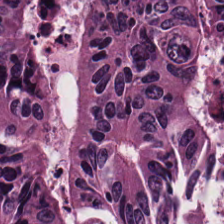Hematoxylin and eosin.
The tissue is tumor epithelium.
